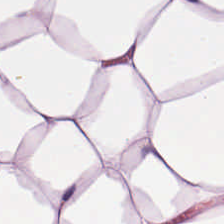20× equivalent magnification · hematoxylin-and-eosin stained section — The tissue type is adipocytes.
